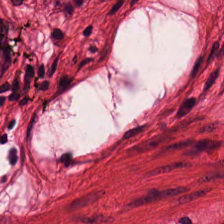Stain: hematoxylin-and-eosin stained section.
Classification: muscularis.
